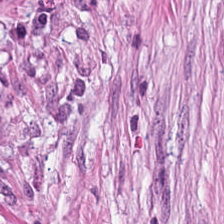Q: What tissue type is shown here?
A: Tumor stroma.
